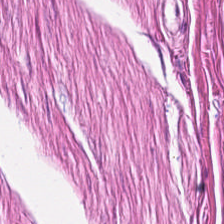H&E-stained tissue section; 20× equivalent magnification.
Predominantly muscularis.
